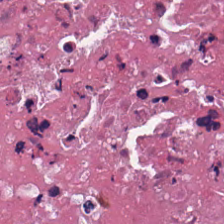Hematoxylin and eosin; formalin-fixed paraffin-embedded section.
Classification: debris.
